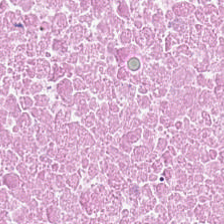H&E-stained tissue section · 224×224 px tile — This patch shows debris.
